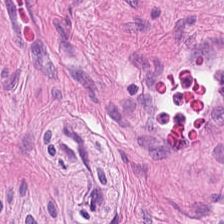224×224 px patch; hematoxylin and eosin — Finding → smooth muscle.
